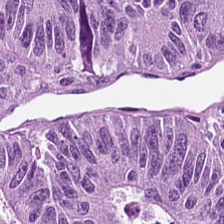Hematoxylin and eosin — Q: What is shown in this field?
A: The field shows colorectal adenocarcinoma epithelium.
